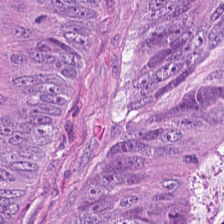Stain: hematoxylin-and-eosin stained section.
Tissue: colorectal adenocarcinoma.
